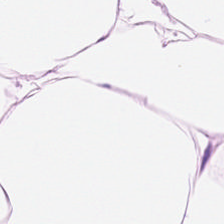FFPE · H&E. Tissue = adipose.
